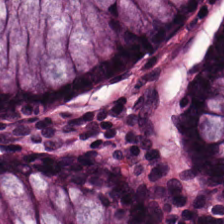H&E; 0.5 microns per pixel — Q: What is shown in this field?
A: It is normal colonic mucosa.
